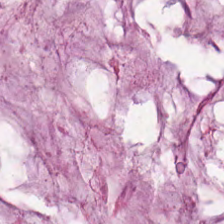Stain: H&E stain.
Predominant tissue: mucus.
